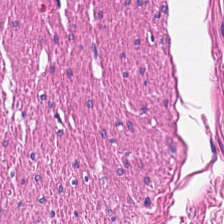Whole-slide-image patch. H&E stain. Q: What is shown here?
A: This is smooth-muscle tissue.
